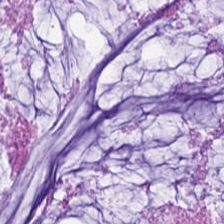224×224 px patch; H&E-stained tissue section — Histology → mucus.
